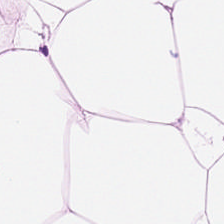Hematoxylin-and-eosin stained section.
This field is adipose.
